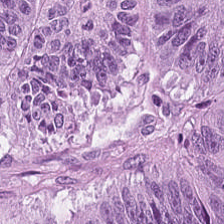224×224 pixel tile; hematoxylin-and-eosin stained section; whole-slide-image patch.
This patch shows adenocarcinoma.
